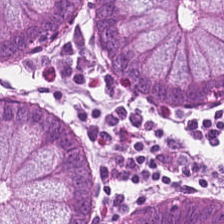Stain: hematoxylin and eosin.
Classification: non-neoplastic colon mucosa.
